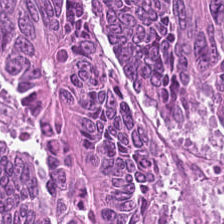Hematoxylin-and-eosin section: colorectal adenocarcinoma.
